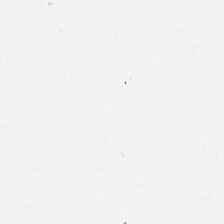This field is background (no tissue).
